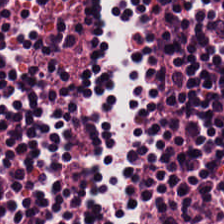Finding — lymphocytes.
